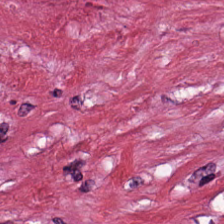H&E patch showing tumor-associated stroma.
